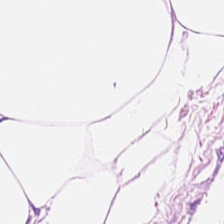H&E-stained tissue section.
Q: What is shown here?
A: This is adipose.
